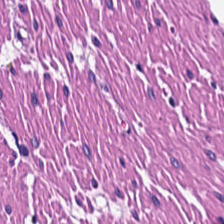Hematoxylin and eosin — Finding — smooth-muscle tissue.
